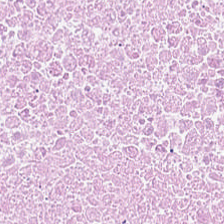Hematoxylin-and-eosin stained section; 224×224 px tile — Q: What tissue type is shown here?
A: It is necrotic debris.
